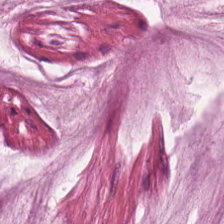H&E stain. Tissue type: extracellular mucin.
